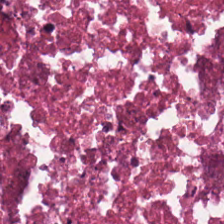20× equivalent magnification. H&E stain. Formalin-fixed paraffin-embedded section.
Classification — debris.
